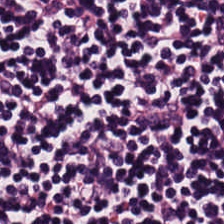224×224 px patch. WSI patch. Hematoxylin and eosin — Q: Classify this patch.
A: It is lymphoid infiltrate.
